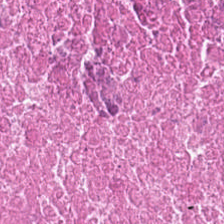224×224 pixel tile. H&E-stained tissue section.
Impression — necrotic debris.
